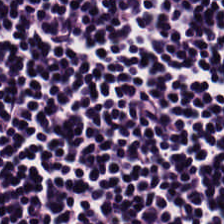Classification — lymphocytes.
